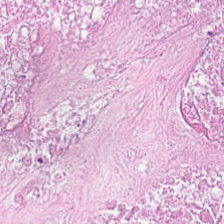FFPE. H&E stain. 224×224 pixel tile. Showing cellular debris.
